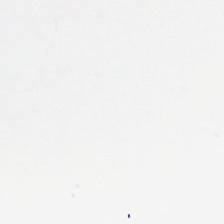Hematoxylin and eosin.
Q: What does this patch show?
A: No tissue.
